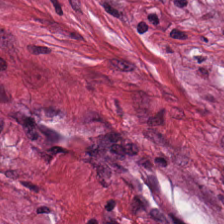H&E stain.
Q: What does this patch show?
A: The field shows tumor stroma.
